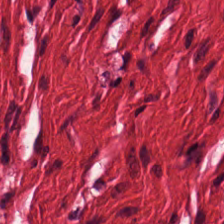Q: What is shown in this field?
A: This is smooth-muscle tissue.
